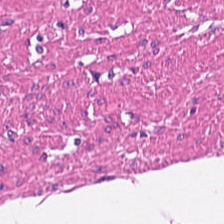FFPE tissue section · H&E.
Predominantly muscularis.
